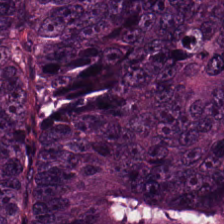The predominant tissue is malignant epithelium.
